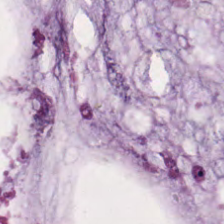Stain: H&E.
Classification: extracellular mucin.
